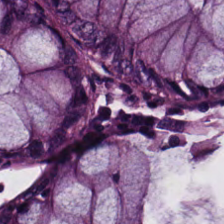H&E. Q: What is the predominant tissue type?
A: This is normal colonic mucosa.
